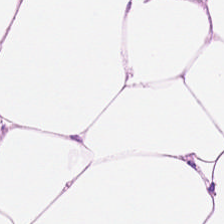Hematoxylin-and-eosin stained section.
Q: What is the predominant tissue type?
A: This is adipocytes.
